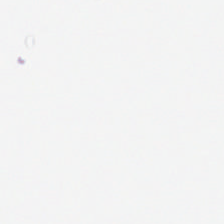H&E stain.
Q: What is shown here?
A: This is background (no tissue).
